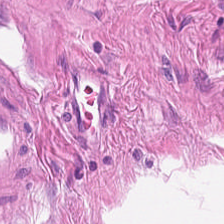Hematoxylin-and-eosin stained section — Q: What does this patch show?
A: Smooth-muscle tissue.
